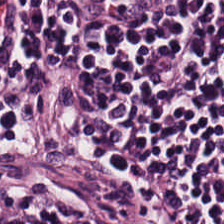Q: What tissue is shown?
A: It is lymphocyte aggregate.
